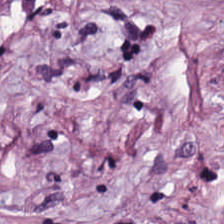H&E-stained tissue section. 224×224 px tile. 0.5 microns per pixel — This patch shows tumor-associated stroma.
